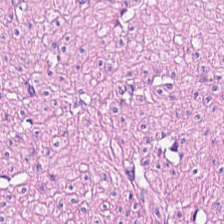The predominant tissue is smooth-muscle tissue.
